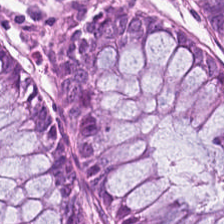Classification — benign colonic mucosa.
